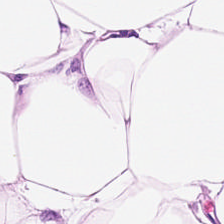Tissue class — adipocytes.
